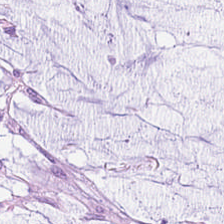Hematoxylin and eosin.
Q: Identify the tissue.
A: It is extracellular mucin.
